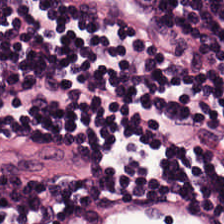H&E patch showing lymphoid infiltrate.
